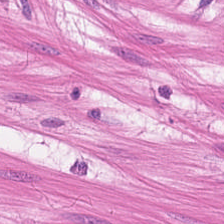Stain: hematoxylin-and-eosin stained section.
Tile size: 224×224 px patch.
Tissue class: smooth muscle.
